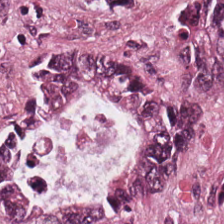This field is tumor epithelium.
